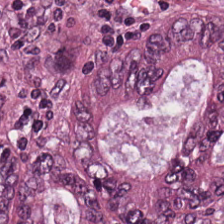Hematoxylin and eosin · brightfield microscopy. The tissue here is colorectal adenocarcinoma epithelium.
